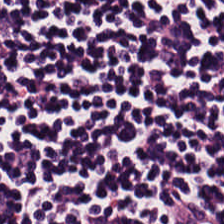H&E patch showing lymphocytes.
